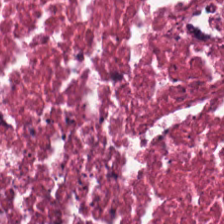224×224 px tile. Formalin-fixed paraffin-embedded section. H&E-stained tissue section.
Tissue — necrotic debris.
